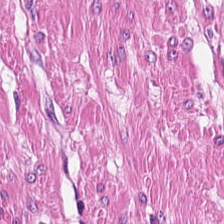Hematoxylin-and-eosin section: muscularis.
